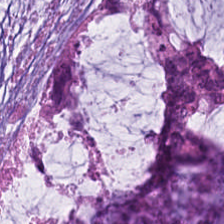H&E stain. Showing mucin.
